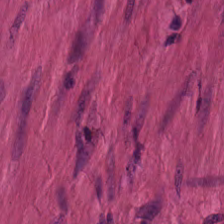Q: What is shown here?
A: The field shows smooth muscle.
